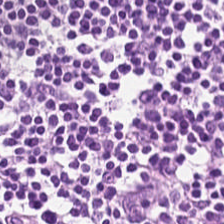Predominant tissue = lymphocytic infiltrate.
